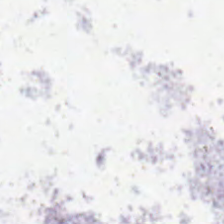Stain: hematoxylin-and-eosin stained section.
Classification: background.
